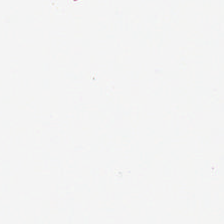Brightfield. H&E stain.
This patch shows background (no tissue).
